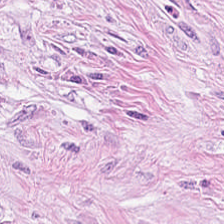Tissue class = desmoplastic stroma.
